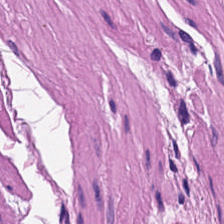Hematoxylin and eosin. Showing smooth muscle.
